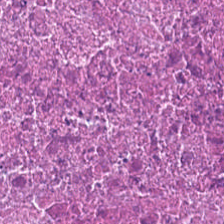Hematoxylin and eosin · 0.5 µm/px — The tissue here is necrotic debris.
